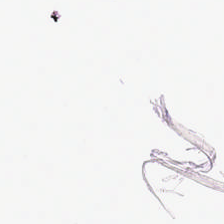Impression — background (no tissue).
